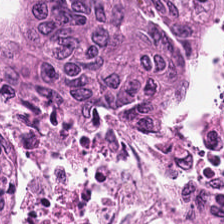Hematoxylin-and-eosin stained section. FFPE tissue section. Tissue type — colorectal adenocarcinoma epithelium.
